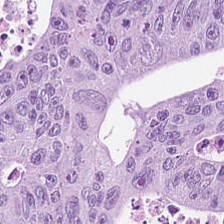Hematoxylin and eosin; formalin-fixed paraffin-embedded section.
The predominant tissue is tumor epithelium.
